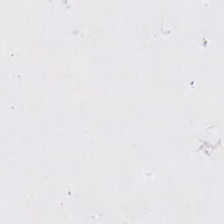H&E stain — Histology — background (no tissue).
